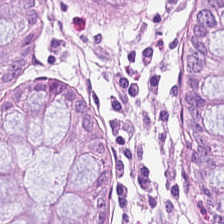H&E stain · brightfield microscopy.
This field is benign colonic mucosa.
